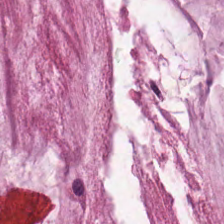224×224 px tile · H&E · FFPE.
Impression → extracellular mucin.
